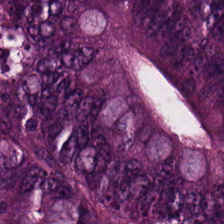Hematoxylin and eosin. Whole-slide-image patch. 0.5 µm per pixel. This field is adenocarcinoma.
